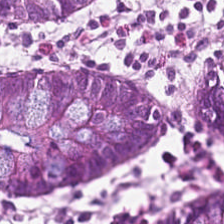H&E.
This field is benign colonic mucosa.
